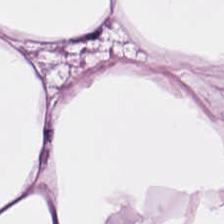Histology — adipose tissue.
